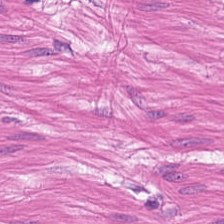Hematoxylin-and-eosin stained section. FFPE tissue section.
Finding — smooth muscle.
